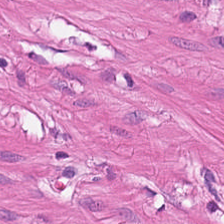0.5 µm per pixel · 224×224 pixel tile · H&E-stained tissue section. Tissue type = smooth-muscle tissue.
